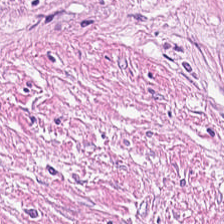H&E-stained tissue section. Q: What tissue is shown?
A: The field shows tumor stroma.
